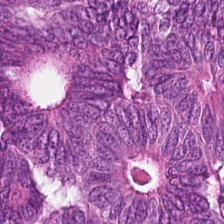Tissue: colorectal adenocarcinoma.
